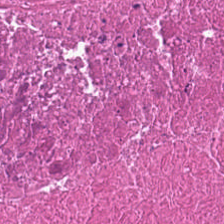Hematoxylin and eosin. This field is necrotic debris.
